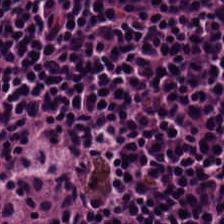H&E-stained tissue section.
Q: What type of tissue is this?
A: It is lymphocytes.
